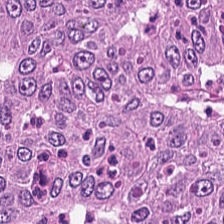H&E stain. The tissue is tumor epithelium.
